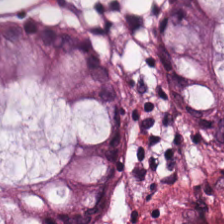Stain: H&E.
Tissue type: normal colon mucosa.
